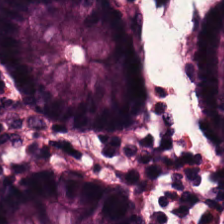H&E-stained section; the field shows normal colon mucosa.
